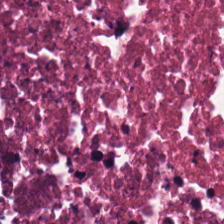Hematoxylin and eosin.
The predominant tissue is necrotic debris.
